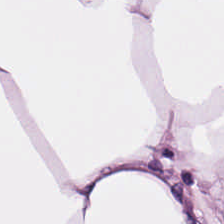Stain: H&E.
Tile size: 224×224 pixel tile.
Acquisition: brightfield microscopy.
Predominant tissue: adipocytes.
